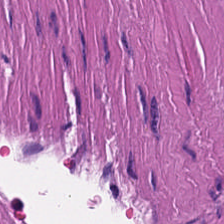H&E-stained tissue section · whole-slide-image patch.
Q: What is the predominant tissue type?
A: This is smooth muscle.
